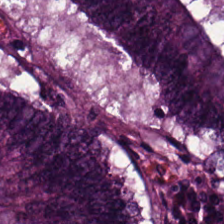WSI patch. H&E stain. Finding — malignant epithelium.
